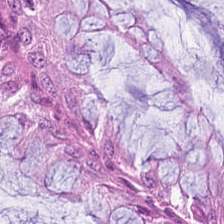Stain: H&E-stained tissue section.
Preparation: FFPE.
Tile size: 224×224 px patch.
Tissue class: non-neoplastic colon mucosa.
